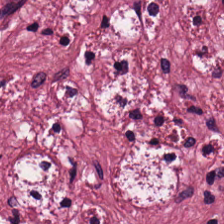Hematoxylin-and-eosin stained section. {"tissue_type": "tumor stroma"}
